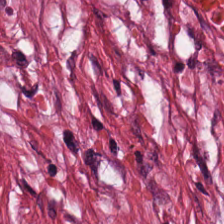This field is desmoplastic stroma.
